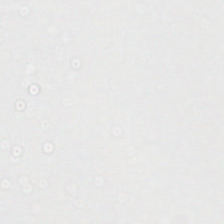Hematoxylin and eosin. This patch shows background.
